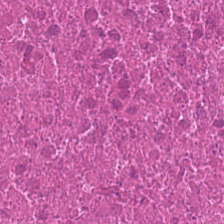Q: What is shown here?
A: This is debris.
